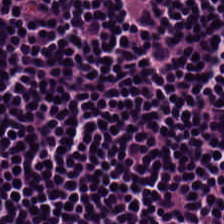224×224 pixel tile. Hematoxylin and eosin. Brightfield — Showing lymphocytic infiltrate.
